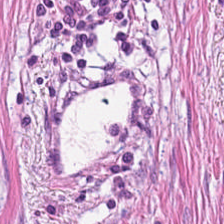Hematoxylin-and-eosin stained section. Brightfield microscopy — Tissue: tumor stroma.
